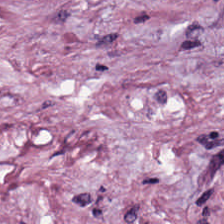This patch shows tumor-associated stroma.
